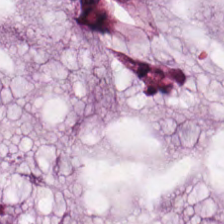Histology → mucus.
